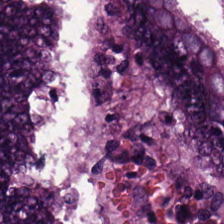Hematoxylin-and-eosin stained section — Impression — adenocarcinoma.
